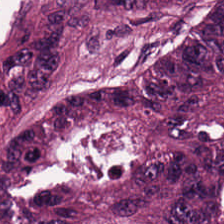WSI patch. Hematoxylin and eosin. 224×224 px patch. This patch shows adenocarcinoma.
